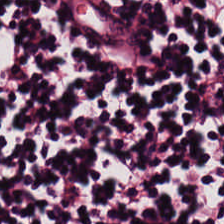Hematoxylin and eosin.
Q: Classify this patch.
A: The field shows lymphocytes.
